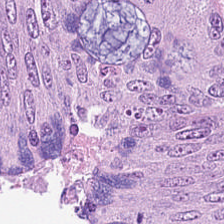H&E.
Classification: malignant epithelium.
